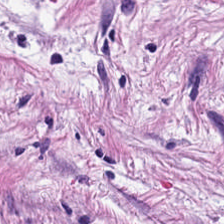The tissue is tumor stroma.
